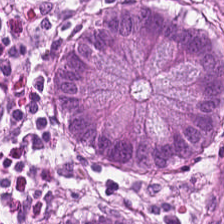Hematoxylin-and-eosin stained section — Finding → non-neoplastic colon mucosa.
